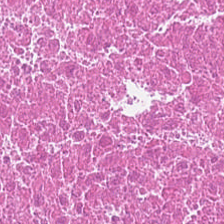WSI patch; FFPE; hematoxylin-and-eosin stained section — This patch shows debris.
